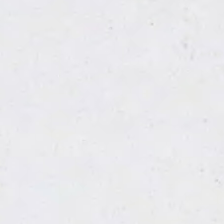{"content": "background (no tissue)"}
